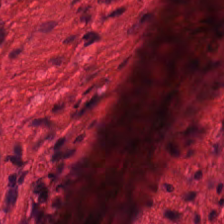Stain: H&E stain.
Predominant tissue: smooth muscle.
